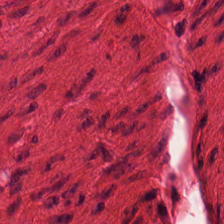224×224 px patch; FFPE tissue section; H&E-stained tissue section. Classification — smooth-muscle tissue.
